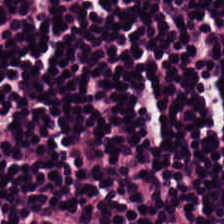Hematoxylin and eosin. Tissue type: lymphocytic infiltrate.
